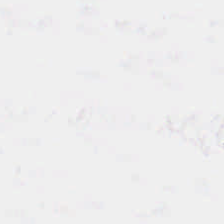H&E; 20× equivalent magnification. The content is background.
